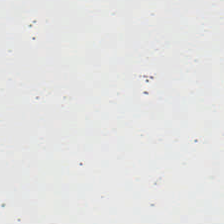Whole-slide-image patch. H&E-stained tissue section — The field content is background (no tissue).
